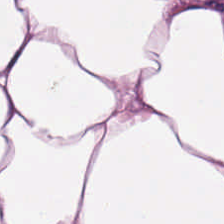H&E-stained tissue section. 20× equivalent magnification.
Tissue — fat tissue.
